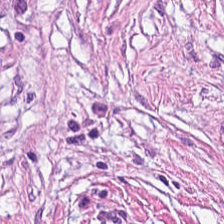H&E. 224×224 pixel tile.
Showing tumor-associated stroma.
